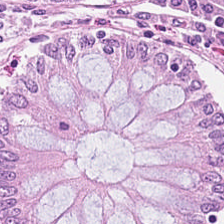H&E — Showing benign colonic mucosa.
